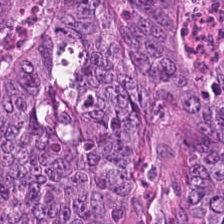H&E · formalin-fixed paraffin-embedded section — Tissue type — tumor epithelium.
